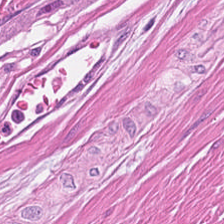H&E-stained tissue section.
Q: What does this patch show?
A: Muscularis.
